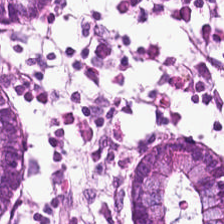Hematoxylin and eosin — Finding — benign colonic mucosa.
